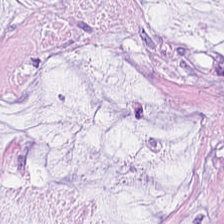Hematoxylin-and-eosin stained section. Q: What type of tissue is this?
A: This is extracellular mucin.
